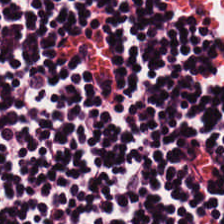Hematoxylin and eosin. Predominant tissue = lymphocytic infiltrate.
